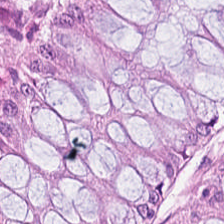The predominant tissue is non-neoplastic colon mucosa.
